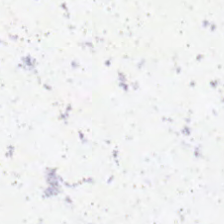FFPE tissue section · 224×224 pixel tile · hematoxylin-and-eosin stained section — The field content is background.
